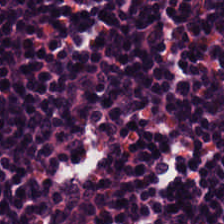Brightfield microscopy · 0.5 µm per pixel · H&E stain.
The tissue is lymphocyte aggregate.
